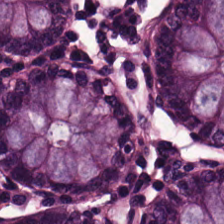H&E · formalin-fixed paraffin-embedded section.
Q: Identify the tissue.
A: The field shows normal colon mucosa.
